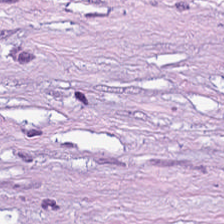Predominant tissue — desmoplastic stroma.
